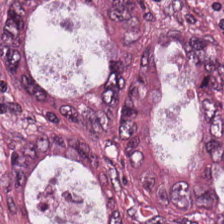Hematoxylin and eosin. Impression — adenocarcinoma.
